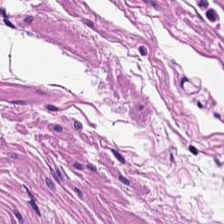H&E-stained tissue section — Finding → muscularis.
